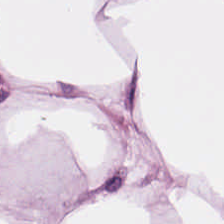H&E stain.
Histology → adipocytes.
